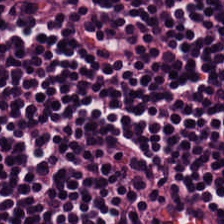224×224 px tile. Hematoxylin and eosin — The predominant tissue is lymphocyte aggregate.
